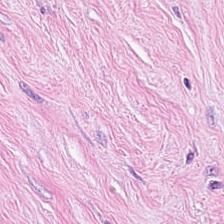Hematoxylin and eosin — Tissue: desmoplastic stroma.
